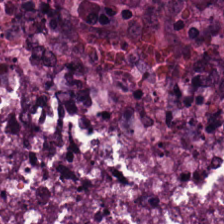Hematoxylin-and-eosin stained section · FFPE tissue section. This patch shows tumor epithelium.
